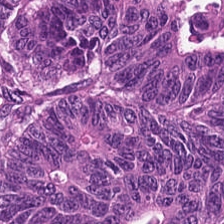Finding — malignant epithelium.
